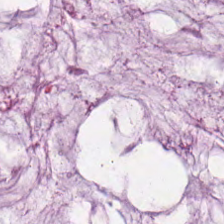The tissue here is mucus.
